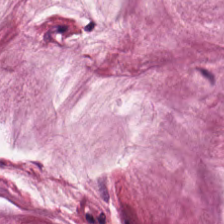Stain: H&E stain.
Tissue class: extracellular mucin.
